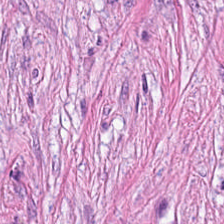The predominant tissue is tumor-associated stroma.
